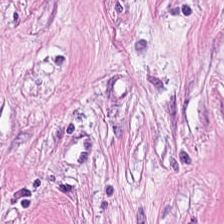0.5 µm/px. 224×224 pixel tile. H&E stain. Predominantly tumor-associated stroma.
